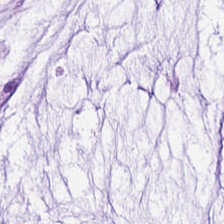This patch shows mucus.
